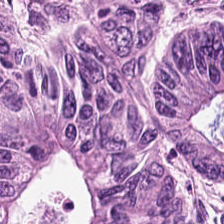Hematoxylin-and-eosin stained section; 224×224 pixel tile.
Predominantly colorectal adenocarcinoma epithelium.
